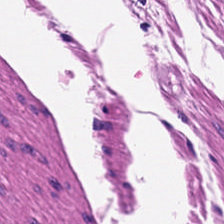Stain: hematoxylin-and-eosin stained section.
Tissue type: smooth-muscle tissue.
